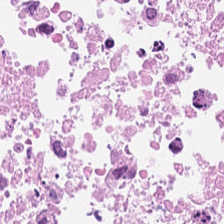224×224 px tile. Hematoxylin and eosin. {"tissue_type": "debris"}
